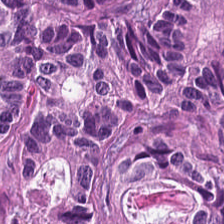WSI patch; H&E stain; FFPE. {"tissue_type": "colorectal adenocarcinoma"}
